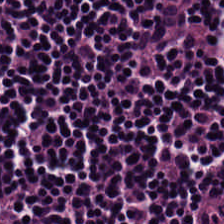{"tissue_type": "lymphoid infiltrate"}
